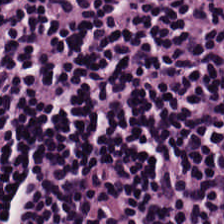Stain: H&E stain.
Predominant tissue: lymphocytic infiltrate.
